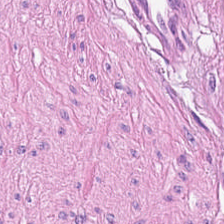Hematoxylin and eosin. Classification — smooth muscle.
